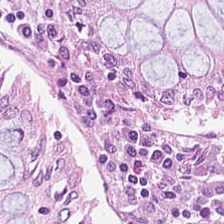H&E — non-neoplastic colon mucosa.
